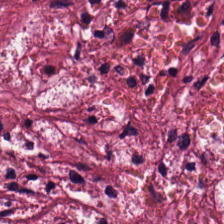FFPE · hematoxylin-and-eosin stained section — Tissue: tumor stroma.
